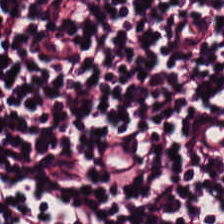Hematoxylin and eosin. This patch shows lymphocytes.
